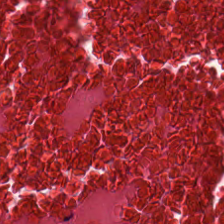Brightfield; H&E-stained tissue section. Showing cellular debris.
